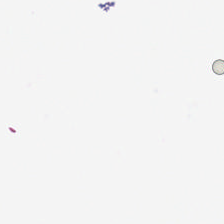H&E stain. Q: What is shown in this field?
A: No tissue.
